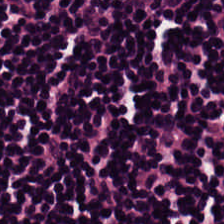Hematoxylin and eosin; FFPE. Showing lymphocytes.
